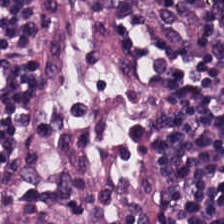H&E stain. Histology → lymphocyte aggregate.
